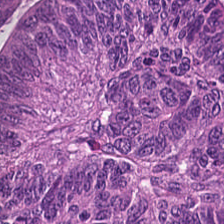H&E-stained tissue section · whole-slide-image patch · 224×224 px patch — {"tissue_type": "colorectal adenocarcinoma"}
